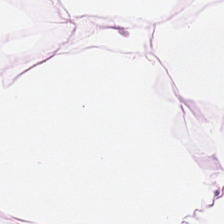H&E stain; 224×224 px tile. Predominant tissue = adipose tissue.
